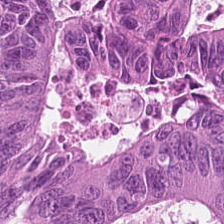224×224 px tile. Hematoxylin and eosin. {"tissue_type": "adenocarcinoma"}
